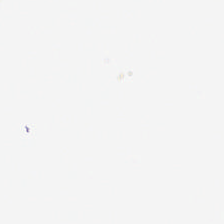Content: background.
